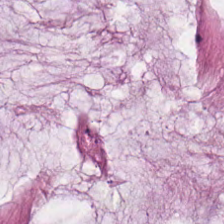H&E. Brightfield.
Q: What tissue type is shown here?
A: This is extracellular mucin.
